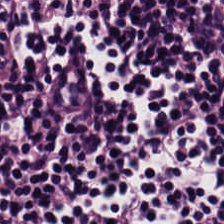H&E · WSI patch.
This field is lymphocyte aggregate.
